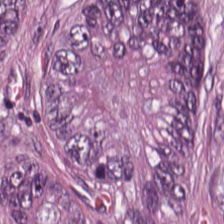H&E-stained tissue section; whole-slide-image patch — Tissue type — adenocarcinoma.
